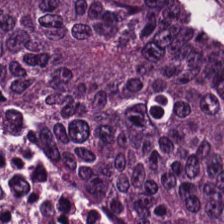H&E-stained tissue section. Whole-slide-image patch.
The tissue here is adenocarcinoma.
